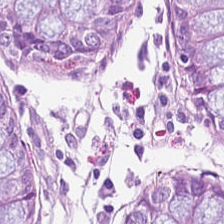H&E stain. Impression → normal colon mucosa.
